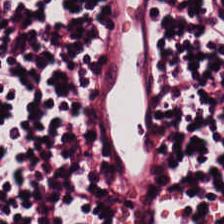H&E.
Q: What does this patch show?
A: Lymphoid infiltrate.
